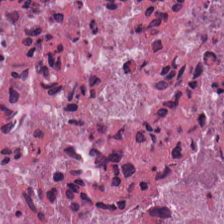Stain: H&E.
Classification: cellular debris.
